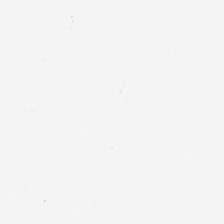Empty field — background (no tissue).
